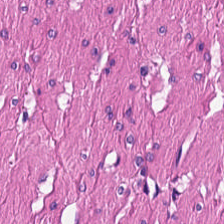H&E stain — Smooth-muscle tissue.
